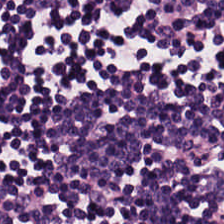Q: What is the predominant tissue type?
A: This is lymphocyte aggregate.
